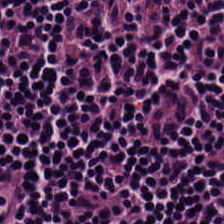0.5 µm/px. H&E-stained tissue section — Impression — lymphoid infiltrate.
